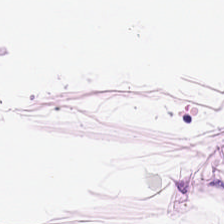Stain: hematoxylin-and-eosin stained section.
Predominant tissue: adipose tissue.
